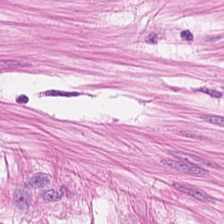224×224 pixel tile; hematoxylin-and-eosin stained section; 0.5 microns per pixel — This field is smooth muscle.
